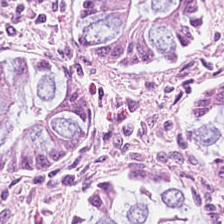Q: Classify this patch.
A: The field shows non-neoplastic colon mucosa.
